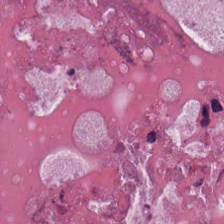H&E-stained tissue section showing necrotic debris.
